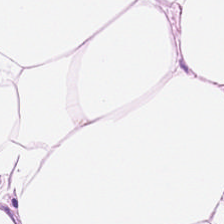Stain: hematoxylin and eosin.
Tissue class: adipose.
